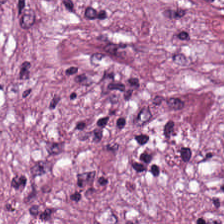Showing tumor stroma.
